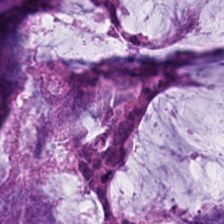H&E stain. Showing mucus.
